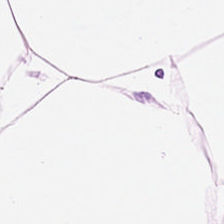Stain: hematoxylin and eosin.
Resolution: 0.5 µm per pixel.
Predominant tissue: adipose.
